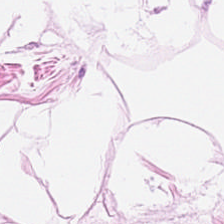Hematoxylin and eosin — The predominant tissue is adipose.
